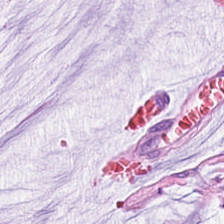0.5 microns per pixel. H&E-stained tissue section. 224×224 px patch. Q: What is shown here?
A: It is extracellular mucin.
